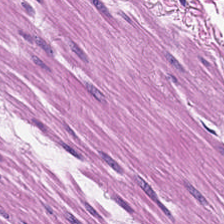WSI patch; 0.5 microns per pixel; hematoxylin-and-eosin stained section.
Showing smooth muscle.
